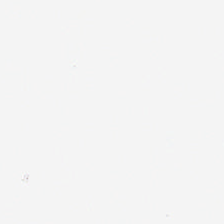Hematoxylin-and-eosin stained section · 0.5 microns per pixel · formalin-fixed paraffin-embedded section.
Impression — background (no tissue).
